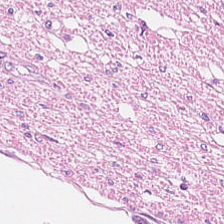224×224 px tile · hematoxylin-and-eosin stained section · brightfield — Q: What tissue is shown?
A: It is smooth-muscle tissue.
